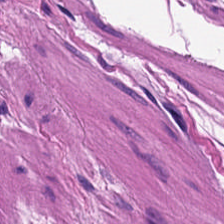WSI patch; H&E-stained tissue section.
Q: What type of tissue is this?
A: Muscularis.
